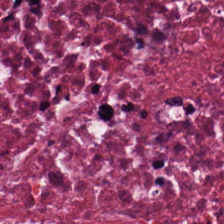H&E stain — Q: What does this patch show?
A: This is debris.
